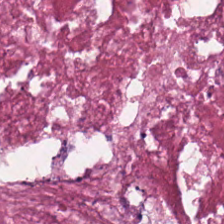This field is debris.
